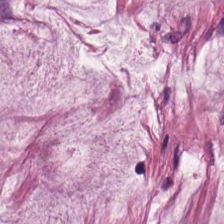Hematoxylin-and-eosin stained section. FFPE. 0.5 µm per pixel.
The predominant tissue is mucus.
